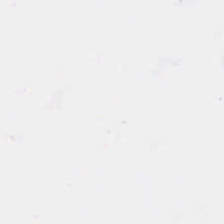Stain: H&E stain.
Content: no tissue.
